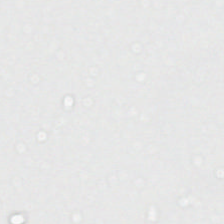H&E-stained tissue section.
The content is no tissue.
